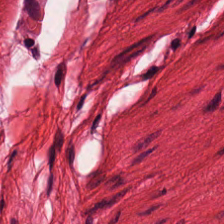H&E stain — Showing smooth-muscle tissue.
